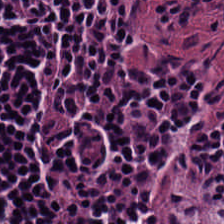H&E-stained tissue section · FFPE · 224×224 px tile. The tissue here is lymphocyte aggregate.
